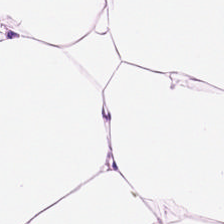Stain: H&E stain.
Tissue: adipose tissue.
